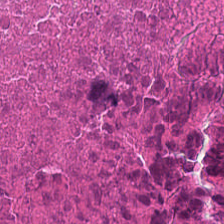Stain: hematoxylin-and-eosin stained section.
Acquisition: brightfield microscopy.
Preparation: FFPE.
Predominant tissue: necrotic debris.
